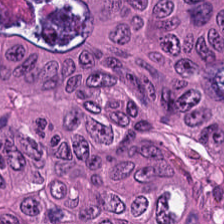This field is tumor epithelium.
